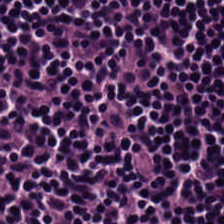H&E stain. Predominantly lymphocytes.
